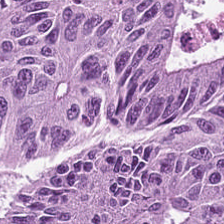H&E stain. Q: What does this patch show?
A: Colorectal adenocarcinoma epithelium.
